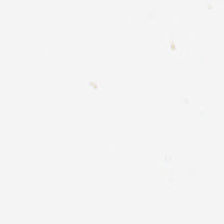No tissue present; background only.
